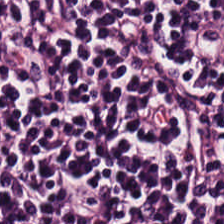H&E-stained tissue section — Q: What does this patch show?
A: This is lymphoid infiltrate.
